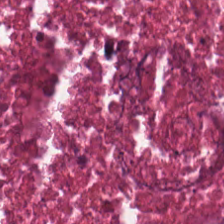H&E-stained tissue section — The tissue here is cellular debris.
